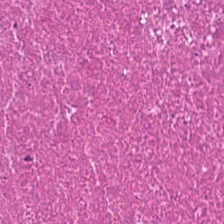Stain: hematoxylin-and-eosin stained section.
Acquisition: brightfield.
Tissue class: debris.
